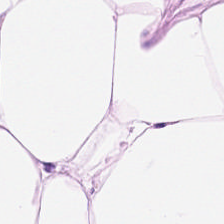H&E stain.
Tissue type: fat tissue.
